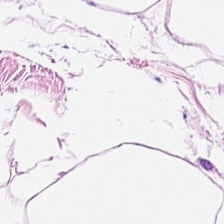Whole-slide-image patch. Hematoxylin-and-eosin stained section — Predominantly adipocytes.
